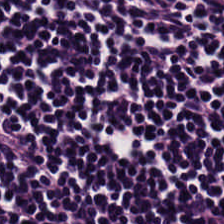H&E stain — Classification = lymphocytes.
